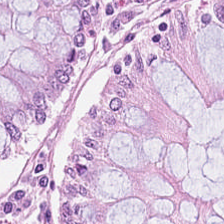H&E-stained tissue section. Benign colonic mucosa.
